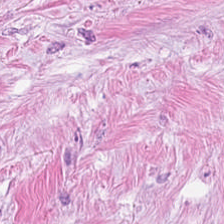The tissue here is tumor stroma.
